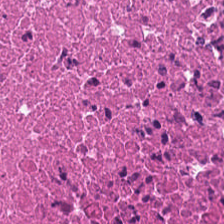H&E stain — Classification — necrotic debris.
